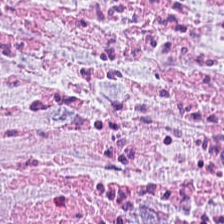Hematoxylin and eosin; formalin-fixed paraffin-embedded section — Tissue: cancer-associated stroma.
